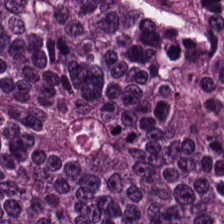H&E-stained tissue section.
This field is adenocarcinoma.
